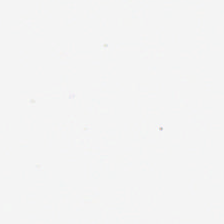Formalin-fixed paraffin-embedded section · hematoxylin and eosin · 20× equivalent magnification.
Classification — background (no tissue).
